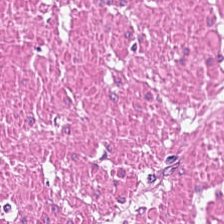224×224 px tile; hematoxylin and eosin; whole-slide-image patch.
Q: What tissue is shown?
A: Smooth muscle.
